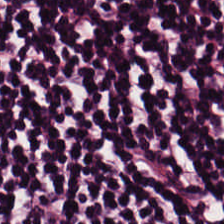H&E.
Finding — lymphocyte aggregate.
